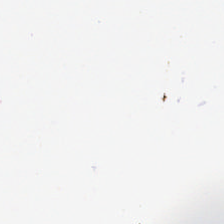Stain: H&E stain.
Classification: background (no tissue).
